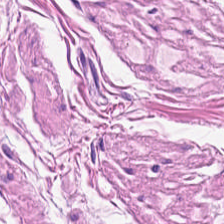H&E — Predominantly smooth muscle.
